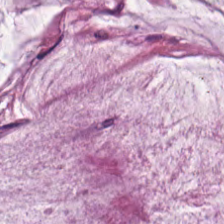Hematoxylin-and-eosin stained section — {"tissue_type": "extracellular mucin"}
